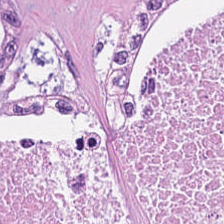Brightfield; 0.5 µm/px; hematoxylin-and-eosin stained section.
Classification — cellular debris.
